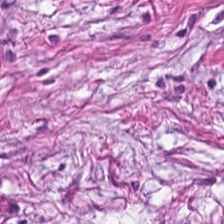This field is desmoplastic stroma.
